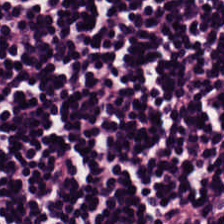H&E. This field is lymphocytes.
